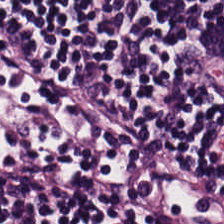Stain: H&E-stained tissue section.
Tissue class: lymphocytes.
